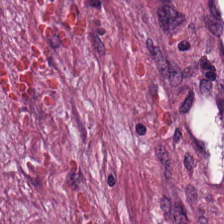H&E-stained tissue section — The tissue type is desmoplastic stroma.
